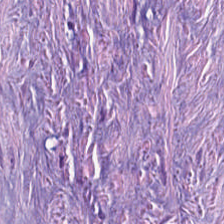20× equivalent magnification; H&E; 224×224 px tile. Histology → desmoplastic stroma.
